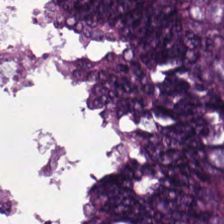H&E stain · 224×224 px patch. Impression — colorectal adenocarcinoma.
